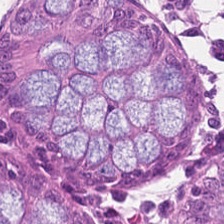H&E. Brightfield microscopy — Predominantly normal colonic mucosa.
